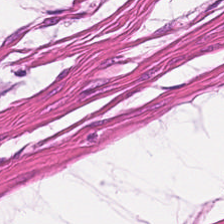Hematoxylin and eosin. Q: What tissue is shown?
A: It is smooth-muscle tissue.
